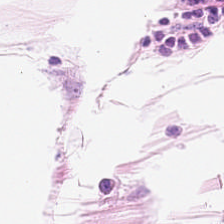This patch shows adipose tissue.
